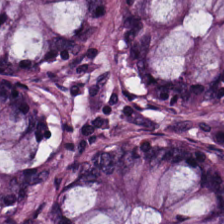Brightfield microscopy. 224×224 px patch. H&E stain. The tissue class is normal colonic mucosa.
